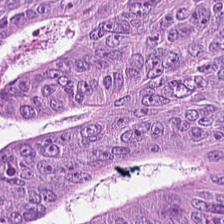Brightfield. Hematoxylin-and-eosin stained section — This field is colorectal adenocarcinoma epithelium.
